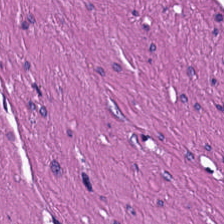224×224 px patch. H&E stain — Histology — smooth muscle.
